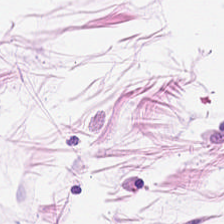Tissue — adipocytes.
